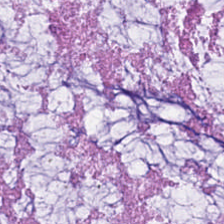H&E-stained section; the field shows mucus.
